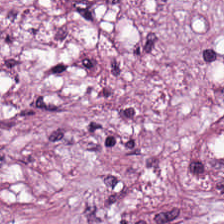Hematoxylin and eosin — The tissue class is cancer-associated stroma.
